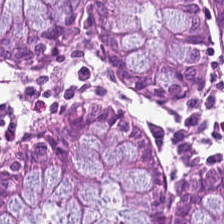The tissue type is benign colonic mucosa.
